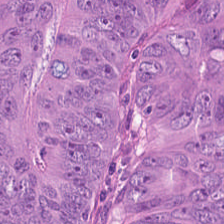Tissue type: tumor epithelium.
